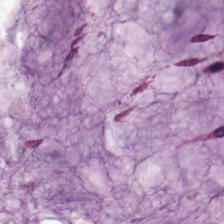H&E-stained tissue section; 224×224 px patch. The tissue here is mucus.
